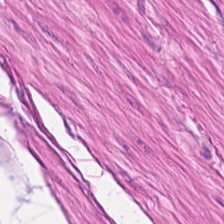224×224 px patch. Hematoxylin-and-eosin stained section — The tissue here is muscularis.
